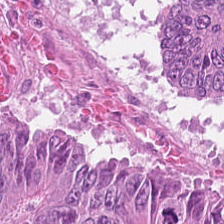Stain: hematoxylin and eosin.
Preparation: FFPE.
Predominant tissue: colorectal adenocarcinoma.
